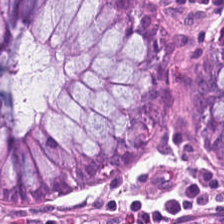Stain: hematoxylin and eosin.
Resolution: 20× equivalent magnification.
Classification: normal colonic mucosa.
